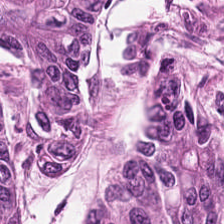Stain: hematoxylin and eosin.
Tissue type: adenocarcinoma.
